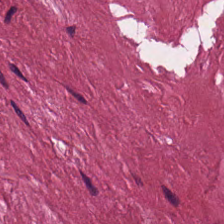Hematoxylin-and-eosin stained section · 224×224 px patch. Predominantly cancer-associated stroma.
